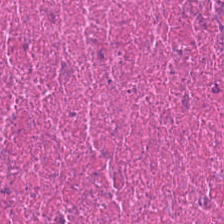Hematoxylin-and-eosin stained section. Histology → necrotic debris.
